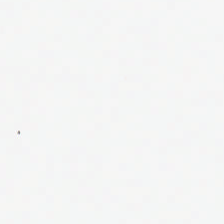Hematoxylin-and-eosin stained section. 0.5 µm/px.
No tissue present; background only.
